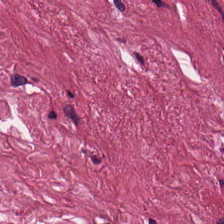Q: Classify this patch.
A: It is desmoplastic stroma.
